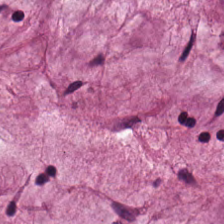Hematoxylin and eosin · 0.5 µm per pixel.
Q: What type of tissue is this?
A: This is mucin.
